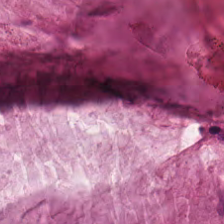224×224 pixel tile · H&E stain — Q: Identify the tissue.
A: The field shows mucus.
